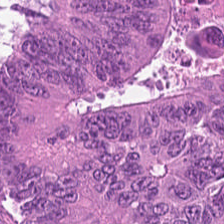20× equivalent magnification · whole-slide-image patch · H&E — Q: What tissue type is shown here?
A: It is tumor epithelium.
